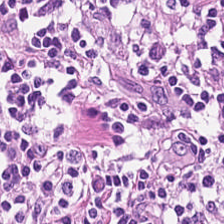H&E.
Finding — lymphoid infiltrate.
